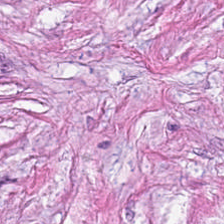Tissue: desmoplastic stroma.
